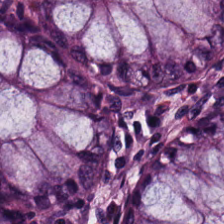Whole-slide-image patch · 224×224 px patch · hematoxylin and eosin.
Histology — normal colonic mucosa.
